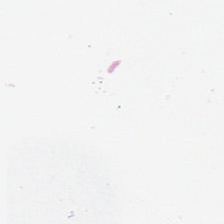Background — no tissue in this field.
